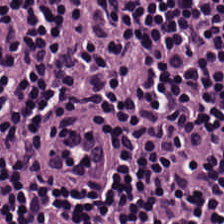Stain: hematoxylin and eosin.
Tissue: lymphocytes.
